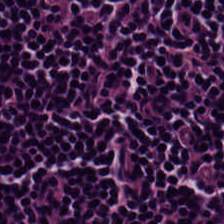H&E-stained section; the field shows lymphocytes.
